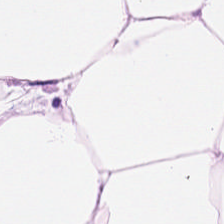H&E. Formalin-fixed paraffin-embedded section. Whole-slide-image patch.
Predominantly adipocytes.
